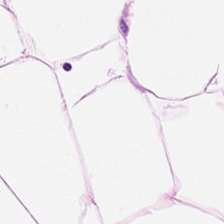H&E.
{"tissue_type": "adipocytes"}
